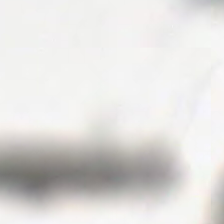The content is background.
